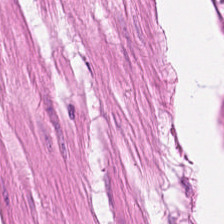224×224 px tile. H&E — Tissue = muscularis.
